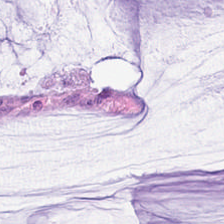0.5 µm per pixel. H&E. Tissue type = mucus.
